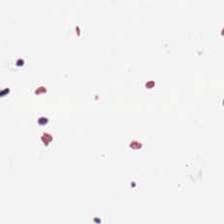Hematoxylin-and-eosin stained section — Empty field — no tissue.
